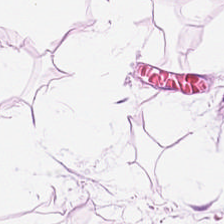H&E stain · 20× equivalent magnification. Q: What tissue is shown?
A: This is adipocytes.
